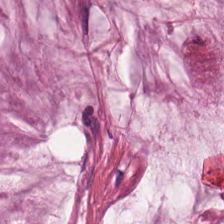Q: What is shown here?
A: The field shows mucus.
